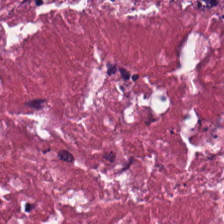Hematoxylin and eosin. Q: What is shown in this field?
A: Necrotic debris.
